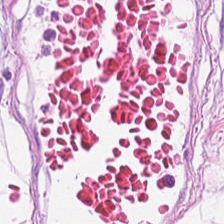The predominant tissue is adipose.
